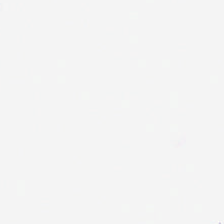Stain: H&E stain.
Field content: background.
